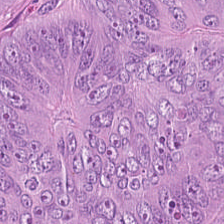H&E stain; FFPE.
The tissue is colorectal adenocarcinoma epithelium.
